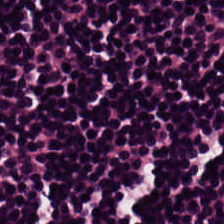Q: What is shown here?
A: The field shows lymphocyte aggregate.
